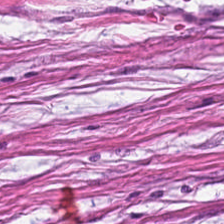Q: What is shown here?
A: The field shows cancer-associated stroma.
